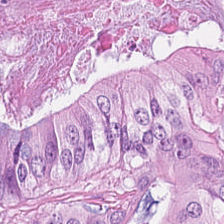H&E stain.
Q: What tissue type is shown here?
A: It is adenocarcinoma.
